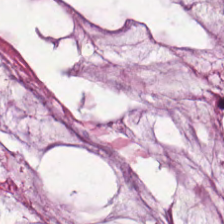Finding → mucin.
